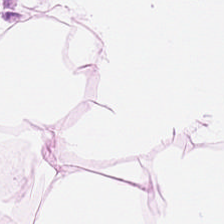H&E-stained section; the field shows adipocytes.
